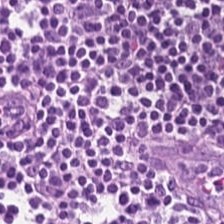Q: What type of tissue is this?
A: This is lymphocytic infiltrate.
